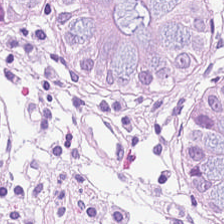H&E-stained tissue section; 20× equivalent magnification. Classification = normal colon mucosa.
